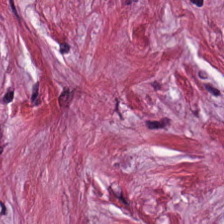H&E-stained tissue section. Histology → cancer-associated stroma.
